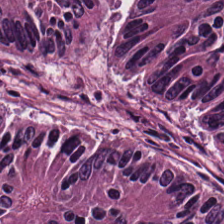Tissue class = colorectal adenocarcinoma epithelium.
